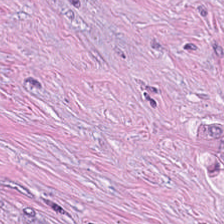Classification — tumor-associated stroma.
